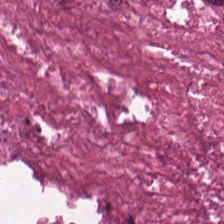H&E. This field is debris.
